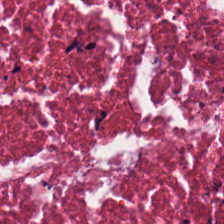H&E stain; 224×224 pixel tile; 0.5 µm/px. Necrotic debris.
